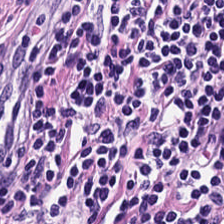H&E.
Predominant tissue = lymphocyte aggregate.
